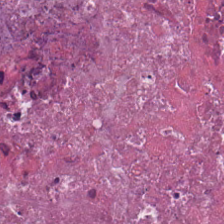Hematoxylin-and-eosin stained section.
Q: What type of tissue is this?
A: This is necrotic debris.
